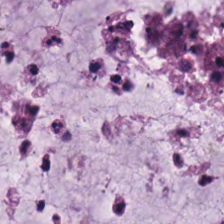H&E.
This field is mucin.
